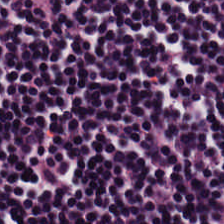H&E stain — Tissue type — lymphocytes.
